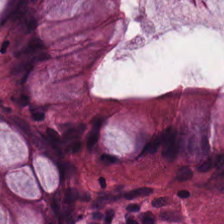Hematoxylin-and-eosin stained section · 224×224 px patch · 0.5 µm per pixel. Benign colonic mucosa.
